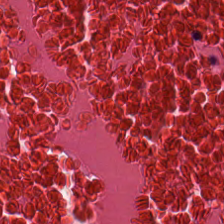Tissue: debris.
